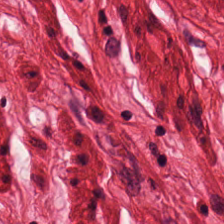Stain: hematoxylin and eosin.
Preparation: formalin-fixed paraffin-embedded section.
Acquisition: whole-slide-image patch.
Tissue type: muscularis.
